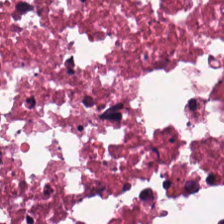H&E.
This patch shows debris.
